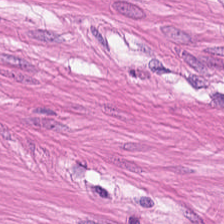FFPE. WSI patch. H&E-stained tissue section.
Q: What type of tissue is this?
A: It is smooth-muscle tissue.
